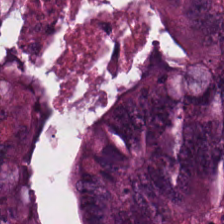Hematoxylin and eosin — The predominant tissue is tumor epithelium.
